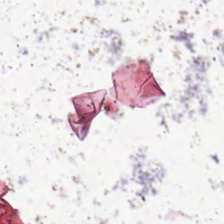H&E-stained tissue section — {"content": "background (no tissue)"}
